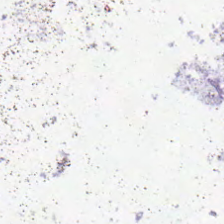Classification: empty background.
